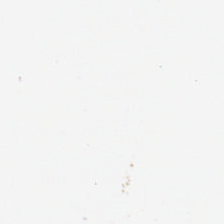H&E. 224×224 pixel tile. Histology — empty background.
